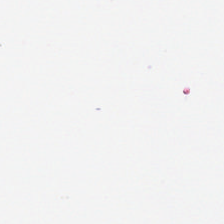Hematoxylin and eosin. {"content": "no tissue"}
